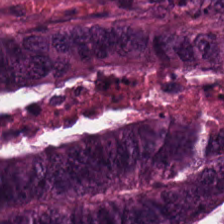Stain: hematoxylin-and-eosin stained section.
Tissue type: tumor epithelium.
